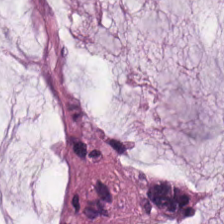Hematoxylin-and-eosin stained section — Mucin.
